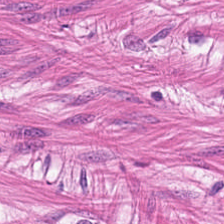224×224 px patch. H&E-stained tissue section. 0.5 µm/px.
Q: What is the predominant tissue type?
A: This is smooth muscle.
